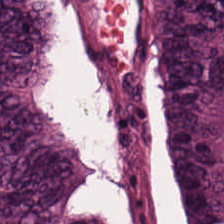Hematoxylin-and-eosin section: colorectal adenocarcinoma.
